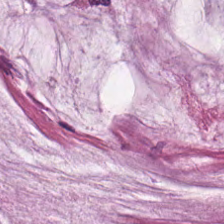Hematoxylin and eosin — Tissue class = extracellular mucin.
